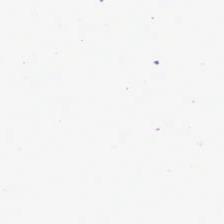Content — background.
